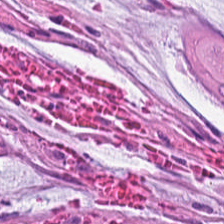Brightfield microscopy. 0.5 microns per pixel. H&E stain — Predominantly mucus.
